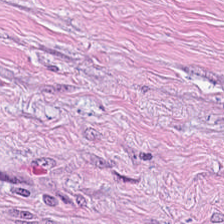Hematoxylin and eosin.
Tumor-associated stroma.
